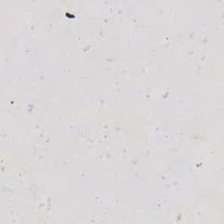Stain: H&E-stained tissue section.
Classification: background.
